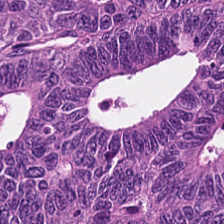Hematoxylin-and-eosin stained section.
The predominant tissue is malignant epithelium.
